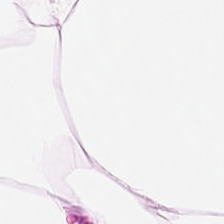Hematoxylin and eosin — Showing adipose tissue.
